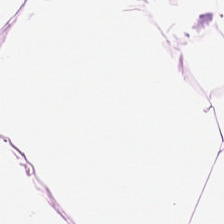Hematoxylin and eosin. 224×224 px patch. FFPE tissue section — {"tissue_type": "adipose"}
